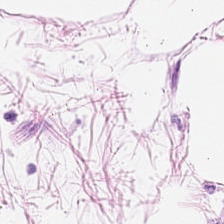H&E-stained tissue section. Predominantly adipose tissue.
